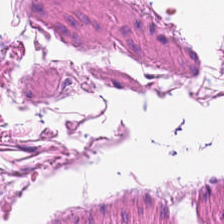Hematoxylin and eosin · FFPE — Tissue — smooth muscle.
